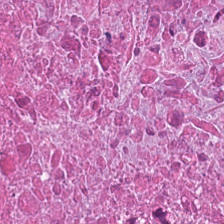Hematoxylin-and-eosin stained section · 20× equivalent magnification — Q: What does this patch show?
A: This is cellular debris.
